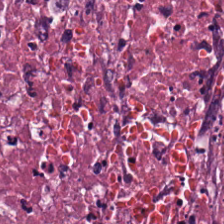224×224 px tile · 0.5 µm per pixel · H&E stain. {"tissue_type": "debris"}
